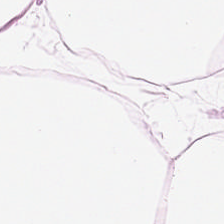H&E-stained tissue section. Fat tissue.
